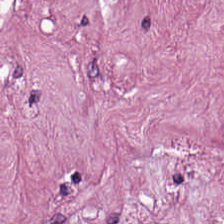Hematoxylin and eosin · 0.5 µm/px. This field is desmoplastic stroma.
